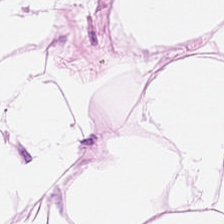224×224 px tile. H&E — Q: What tissue is shown?
A: Adipocytes.
